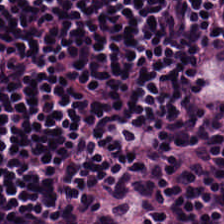Q: What tissue type is shown here?
A: Lymphocytic infiltrate.
